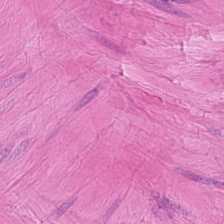H&E-stained tissue section; 0.5 µm/px. The classification is muscularis.
